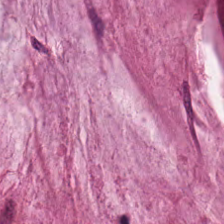The tissue class is mucin.
